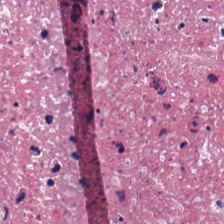H&E · 224×224 px tile. This patch shows cellular debris.
